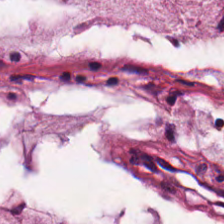H&E.
Mucin.
